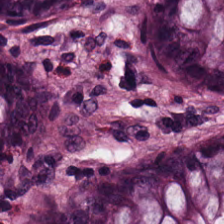H&E. 0.5 microns per pixel. FFPE. Showing benign colonic mucosa.
